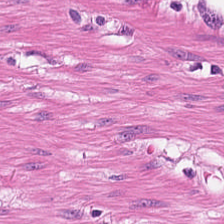224×224 pixel tile. Hematoxylin and eosin. This field is muscularis.
